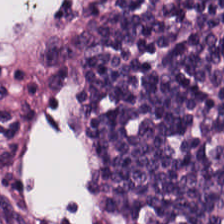Stain: hematoxylin and eosin.
Acquisition: brightfield.
Predominant tissue: lymphoid infiltrate.
